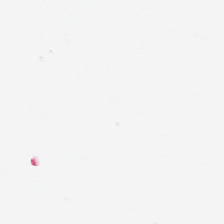Hematoxylin and eosin — Histology — background (no tissue).
